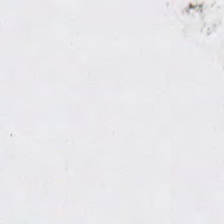Content: no tissue.
